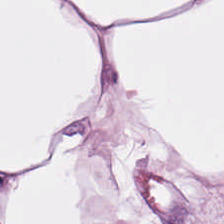Formalin-fixed paraffin-embedded section. Hematoxylin-and-eosin stained section. 0.5 µm per pixel — Q: What type of tissue is this?
A: This is fat tissue.
